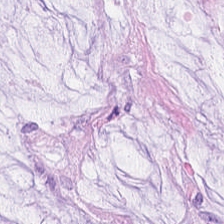Brightfield microscopy · H&E.
Tissue class — extracellular mucin.
